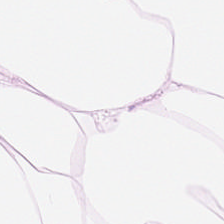Predominantly adipocytes.
